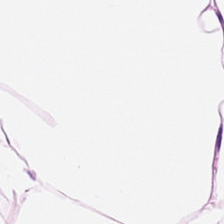Hematoxylin-and-eosin stained section.
{"tissue_type": "adipose"}
